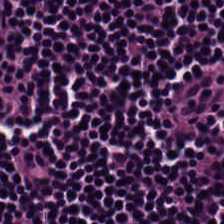Hematoxylin-and-eosin stained section · 224×224 px tile · FFPE — {"tissue_type": "lymphocytic infiltrate"}
